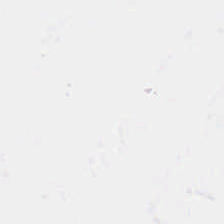H&E. Histology → no tissue.
